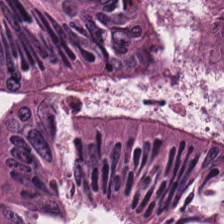Stain: H&E-stained tissue section.
Classification: colorectal adenocarcinoma.
